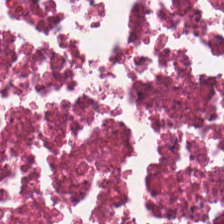Stain: H&E stain.
Tissue: cellular debris.
